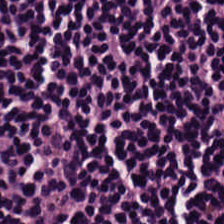224×224 pixel tile. H&E — Tissue = lymphoid infiltrate.
